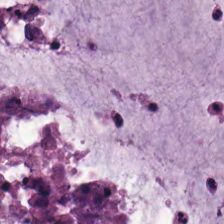Stain: hematoxylin and eosin.
Tissue type: extracellular mucin.
